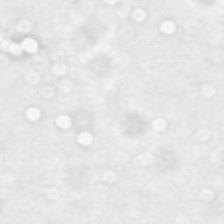224×224 pixel tile; H&E; whole-slide-image patch. Classification = no tissue.
